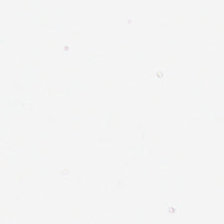Stain: H&E.
Field content: empty background.
